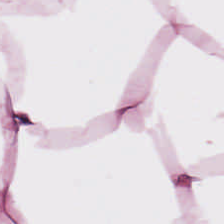Hematoxylin-and-eosin stained section · 224×224 px patch. Classification — adipose tissue.
